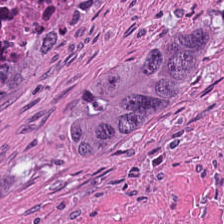224×224 pixel tile · hematoxylin and eosin.
Predominant tissue — necrotic debris.
